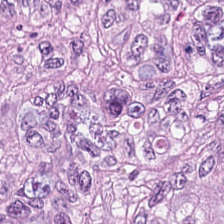H&E stain — The tissue here is adenocarcinoma.
